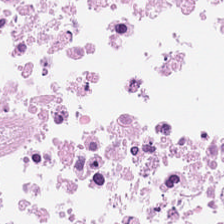H&E stain.
Finding — cellular debris.
